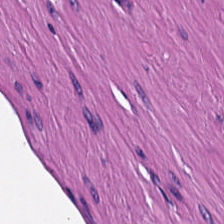224×224 px tile. FFPE tissue section. Hematoxylin and eosin. Q: What does this patch show?
A: Muscularis.
